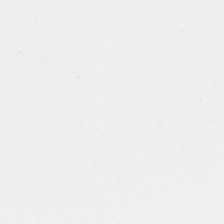0.5 µm per pixel · hematoxylin and eosin.
Finding — background.
